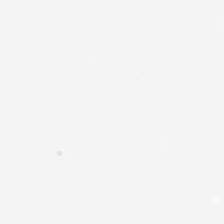Hematoxylin and eosin — No tissue present; background only.
